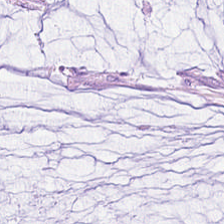Hematoxylin-and-eosin stained section.
This patch shows mucus.
